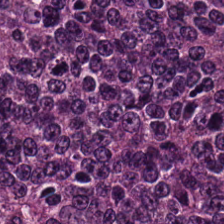224×224 px patch; 20× equivalent magnification; hematoxylin and eosin — Tissue class: tumor epithelium.
